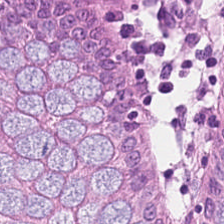H&E.
This patch shows benign colonic mucosa.
